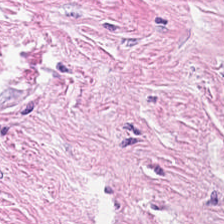H&E-stained tissue section showing desmoplastic stroma.
